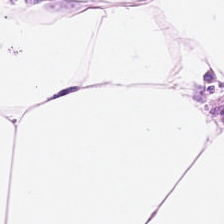FFPE. H&E stain.
The predominant tissue is adipocytes.
